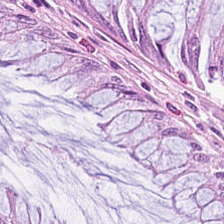{"tissue_type": "benign colonic mucosa"}
